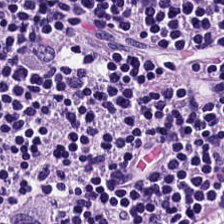Stain: H&E.
Acquisition: WSI patch.
Tile size: 224×224 px tile.
Tissue: lymphocytic infiltrate.
